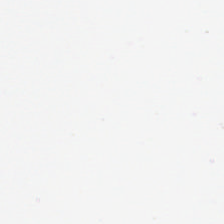Q: What is shown here?
A: The field shows background.
